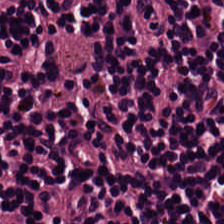H&E.
Predominantly lymphocytic infiltrate.
